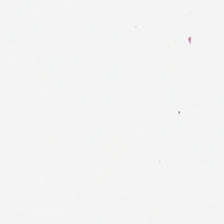224×224 px patch; formalin-fixed paraffin-embedded section; H&E-stained tissue section — Classification — background.
